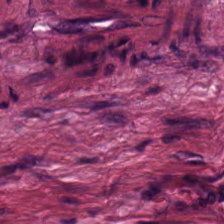Hematoxylin and eosin; FFPE tissue section — Predominantly desmoplastic stroma.
